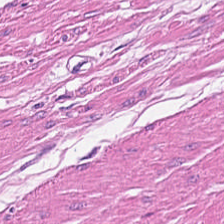0.5 µm per pixel. H&E stain. Q: What is shown here?
A: It is smooth muscle.
